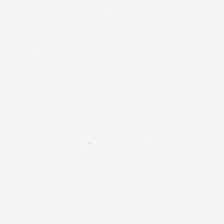Whole-slide-image patch; 0.5 microns per pixel; H&E. Background — no tissue in this field.
